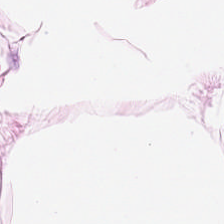Hematoxylin and eosin. Tissue = adipocytes.
